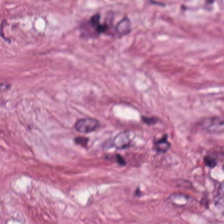Impression → tumor stroma.
